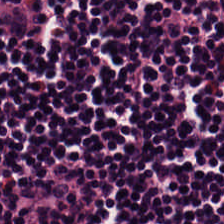Stain: H&E.
Tissue class: lymphocytic infiltrate.
